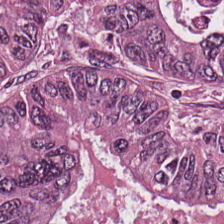H&E — Finding — colorectal adenocarcinoma.
